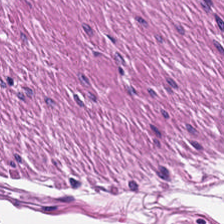H&E stain — The tissue is smooth muscle.
